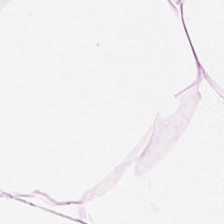H&E — Classification: fat tissue.
